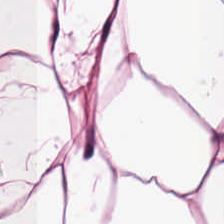0.5 microns per pixel · hematoxylin-and-eosin stained section — Predominant tissue = adipose tissue.
